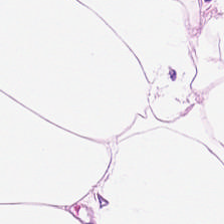H&E-stained tissue section; brightfield microscopy; 224×224 pixel tile — Showing adipose.
